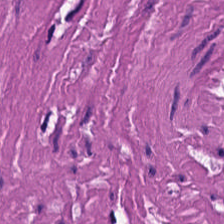Hematoxylin-and-eosin stained section — Q: What type of tissue is this?
A: It is muscularis.
